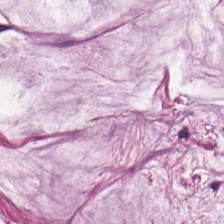H&E stain · brightfield.
This patch shows extracellular mucin.
